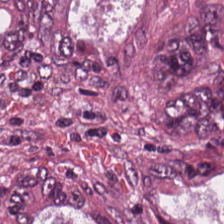H&E-stained tissue section. Predominant tissue — adenocarcinoma.
